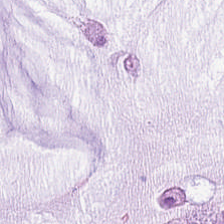0.5 µm/px. Brightfield. Hematoxylin-and-eosin stained section. Tissue class = mucin.
